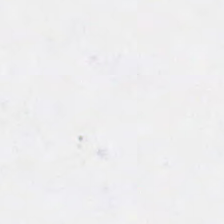H&E stain.
Empty background.
